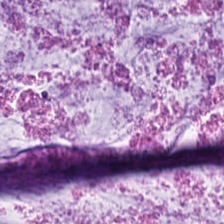H&E stain. 0.5 µm per pixel. Mucus.
